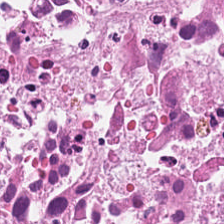H&E-stained tissue section — This patch shows necrotic debris.
